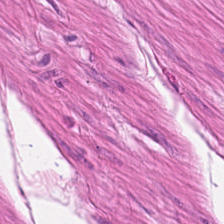H&E-stained section; the field shows smooth muscle.
